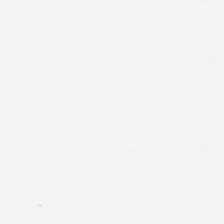Hematoxylin-and-eosin stained section. Formalin-fixed paraffin-embedded section — Field content: empty background.
